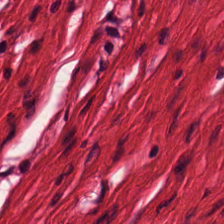H&E-stained tissue section.
Impression — muscularis.
